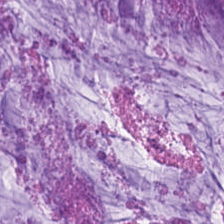Brightfield; hematoxylin and eosin; 0.5 microns per pixel — Q: What does this patch show?
A: Mucus.
